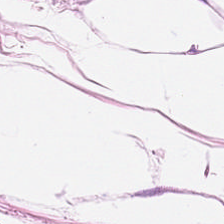Hematoxylin-and-eosin stained section · 0.5 µm per pixel.
Tissue = adipose.
